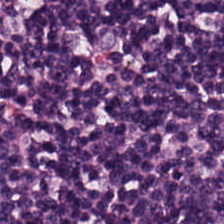Hematoxylin and eosin.
Classification = lymphocytic infiltrate.
